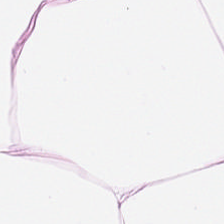H&E stain; FFPE — Fat tissue.
